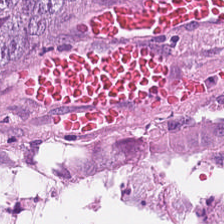H&E. The predominant tissue is colorectal adenocarcinoma.
